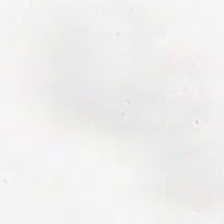H&E. Q: What does this patch show?
A: This is empty background.
